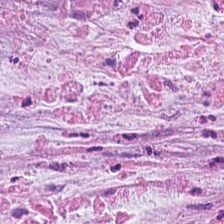224×224 pixel tile; hematoxylin and eosin.
Tissue type = extracellular mucin.
